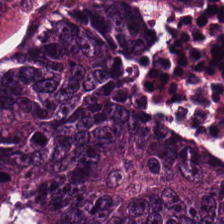Hematoxylin-and-eosin stained section — This patch shows colorectal adenocarcinoma epithelium.
